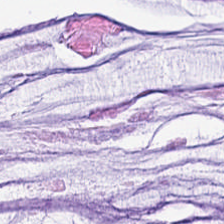H&E stain. Q: Identify the tissue.
A: This is extracellular mucin.
